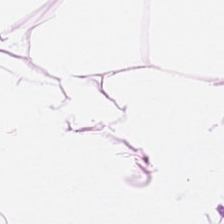FFPE tissue section; H&E.
Predominant tissue: adipose tissue.
